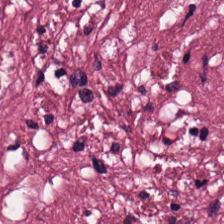The tissue here is tumor-associated stroma.
